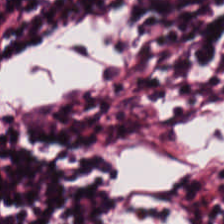Hematoxylin-and-eosin section: lymphoid infiltrate.
